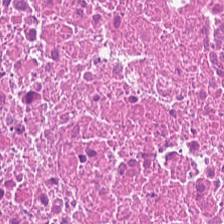H&E stain. Predominant tissue — debris.
